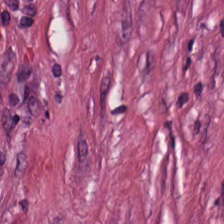0.5 µm per pixel · H&E — The classification is desmoplastic stroma.
